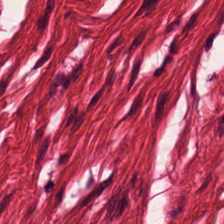H&E stain. Brightfield microscopy. This patch shows smooth muscle.
